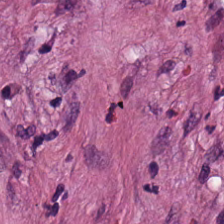0.5 microns per pixel. FFPE tissue section. H&E-stained tissue section.
Classification = desmoplastic stroma.
